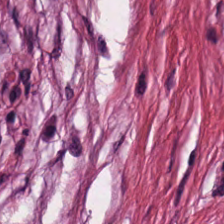H&E-stained tissue section · brightfield.
Showing tumor stroma.
